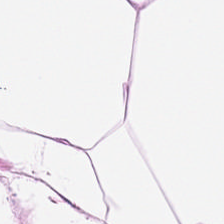Hematoxylin-and-eosin stained section; 0.5 microns per pixel. Tissue — fat tissue.
